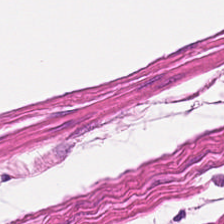Predominant tissue: smooth-muscle tissue.
